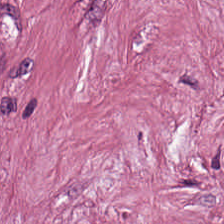224×224 px patch; whole-slide-image patch; hematoxylin and eosin. Tumor stroma.
